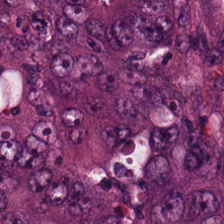This field is colorectal adenocarcinoma epithelium.
